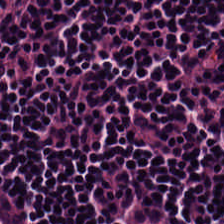224×224 px tile; H&E — Finding — lymphocytes.
